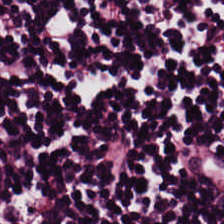The predominant tissue is lymphocytic infiltrate.
